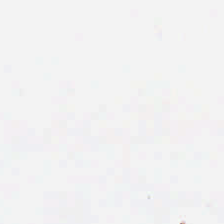Stain: H&E.
Field content: background (no tissue).
